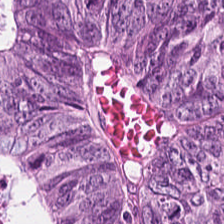H&E stain.
Q: Identify the tissue.
A: This is colorectal adenocarcinoma epithelium.
